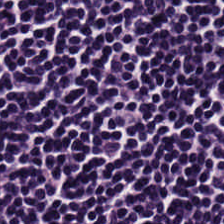H&E-stained tissue section. 0.5 microns per pixel. FFPE.
Tissue type: lymphocyte aggregate.
